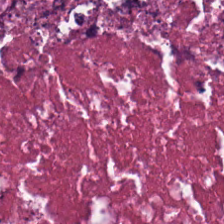Debris.
